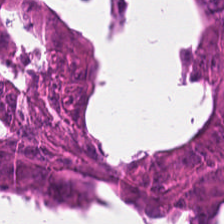H&E-stained section; the field shows malignant epithelium.
